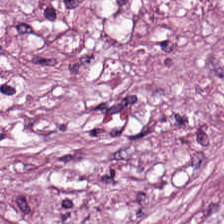H&E-stained tissue section.
{"tissue_type": "tumor stroma"}
